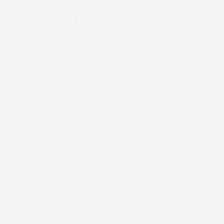Hematoxylin and eosin. Empty field — empty background.
